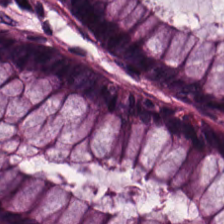Whole-slide-image patch; H&E. Q: What does this patch show?
A: It is benign colonic mucosa.
